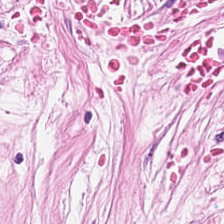H&E-stained tissue section; 0.5 µm per pixel — The classification is cancer-associated stroma.
